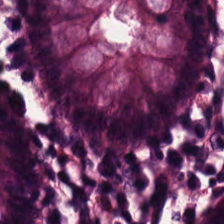224×224 px tile. Hematoxylin-and-eosin stained section. Brightfield — This field is normal colon mucosa.
